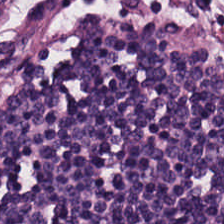Hematoxylin-and-eosin stained section. Tissue type — lymphoid infiltrate.
